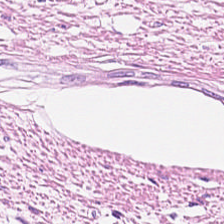H&E patch showing smooth-muscle tissue.
